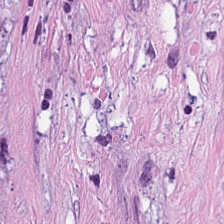Hematoxylin and eosin.
Finding — tumor stroma.
